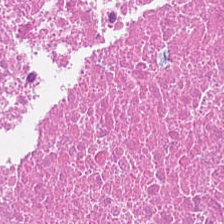0.5 µm per pixel; H&E stain; FFPE tissue section.
Tissue class: cellular debris.
